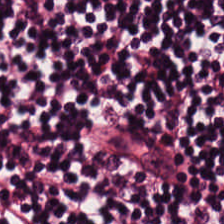Classification: lymphocyte aggregate.
